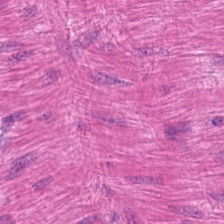Stain: H&E-stained tissue section.
Tissue class: muscularis.
